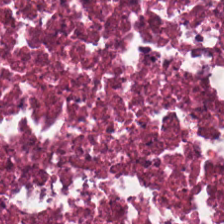Hematoxylin-and-eosin stained section. 224×224 pixel tile. Brightfield — This patch shows debris.
